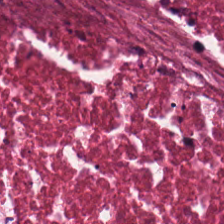FFPE. Hematoxylin-and-eosin stained section — Debris.
